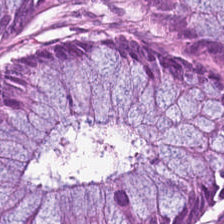Classification = normal colon mucosa.
